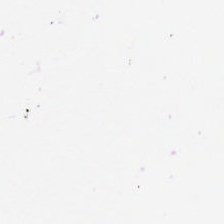Hematoxylin-and-eosin stained section. FFPE tissue section.
Background — no tissue in this field.
